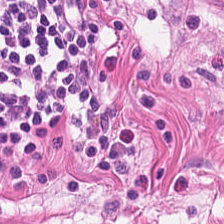Hematoxylin-and-eosin stained section. FFPE tissue section.
Smooth muscle.
